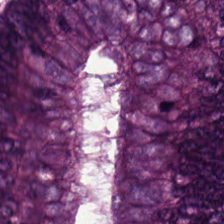Hematoxylin and eosin.
Tumor epithelium.
